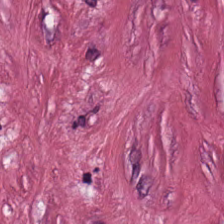Histology → cancer-associated stroma.
